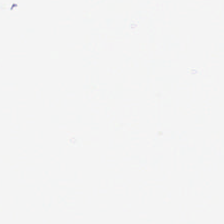Stain: H&E.
Classification: background (no tissue).
